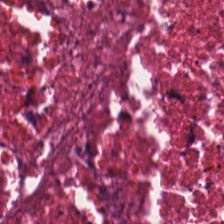224×224 px tile; hematoxylin and eosin. Q: What tissue type is shown here?
A: Debris.
